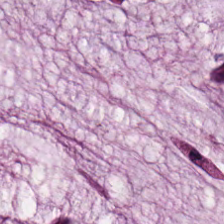20× equivalent magnification; H&E stain; 224×224 pixel tile.
Q: What is shown here?
A: It is extracellular mucin.
